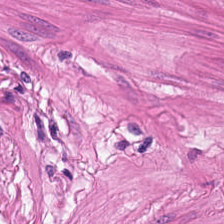Formalin-fixed paraffin-embedded section. H&E-stained tissue section. Q: What is the predominant tissue type?
A: It is muscularis.
